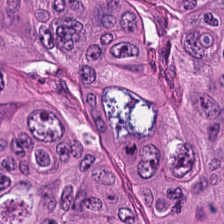Classification — tumor epithelium.
